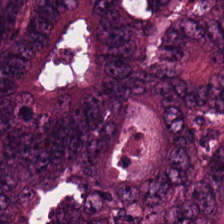{"tissue_type": "colorectal adenocarcinoma epithelium"}
